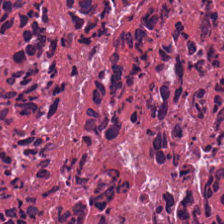H&E-stained tissue section.
Tissue class = cellular debris.
